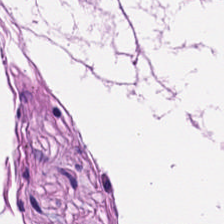WSI patch · H&E — Classification: muscularis.
